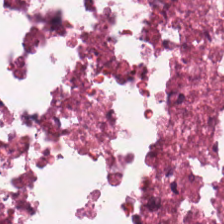H&E; FFPE.
Impression — cellular debris.
